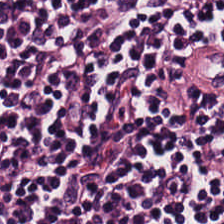Brightfield · H&E stain — The predominant tissue is lymphoid infiltrate.
